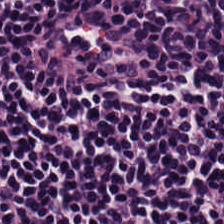H&E stain. 0.5 µm/px. Finding — lymphocyte aggregate.
